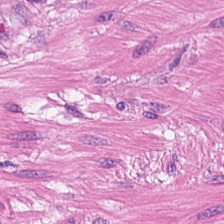Q: What tissue type is shown here?
A: Muscularis.
